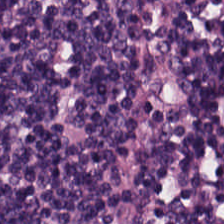H&E-stained tissue section. 224×224 px patch.
Tissue = lymphocytes.
